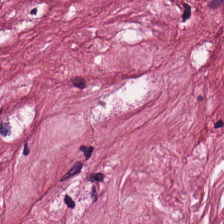0.5 microns per pixel; hematoxylin and eosin; WSI patch.
This patch shows desmoplastic stroma.
